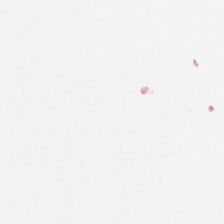224×224 pixel tile. Hematoxylin-and-eosin stained section. This field is background (no tissue).
